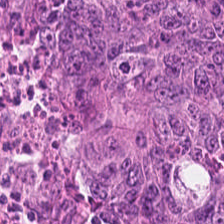Malignant epithelium.
